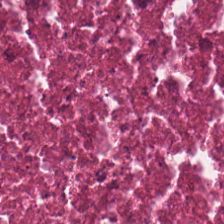WSI patch; H&E — Showing debris.
